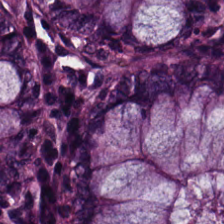H&E-stained tissue section.
Showing normal colonic mucosa.
